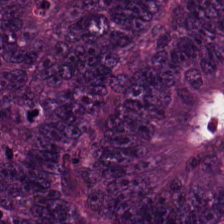H&E-stained tissue section. 0.5 µm per pixel. Histology — colorectal adenocarcinoma epithelium.
